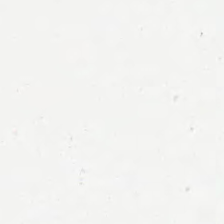The classification is background.
